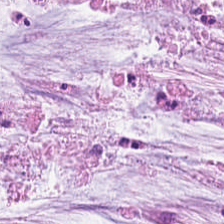Impression — mucus.
